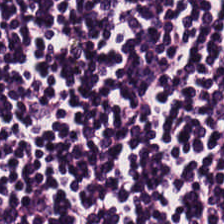Hematoxylin-and-eosin stained section — The tissue here is lymphocytic infiltrate.
